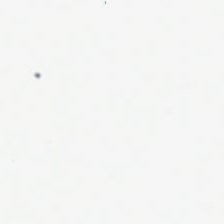Content: empty background.
